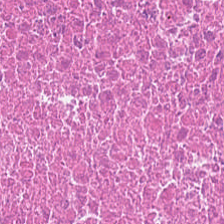H&E — Q: What is shown in this field?
A: It is debris.
